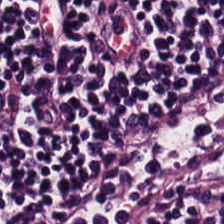H&E. Predominant tissue = lymphocytes.
